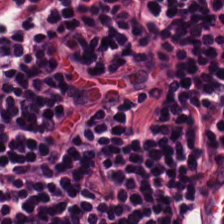Hematoxylin and eosin. Whole-slide-image patch. FFPE tissue section — This patch shows lymphocytic infiltrate.
